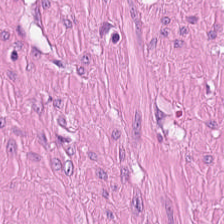WSI patch. H&E stain.
Tissue — smooth muscle.
